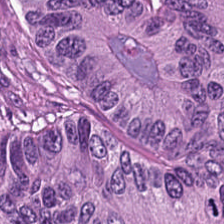224×224 px tile. Hematoxylin-and-eosin stained section.
The predominant tissue is tumor epithelium.
